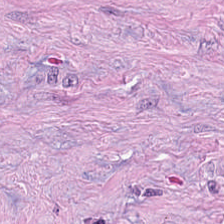The tissue class is cancer-associated stroma.
